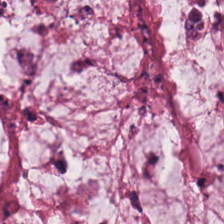H&E stain — This patch shows mucin.
